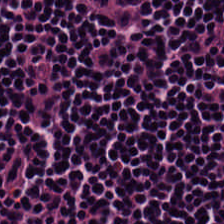Brightfield microscopy. Hematoxylin and eosin. Q: Classify this patch.
A: The field shows lymphoid infiltrate.
